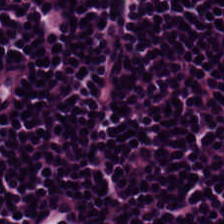Hematoxylin-and-eosin stained section · FFPE. Impression → lymphocytic infiltrate.
